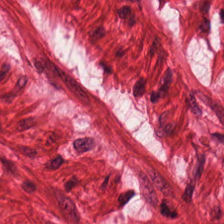Q: What is shown here?
A: It is muscularis.
